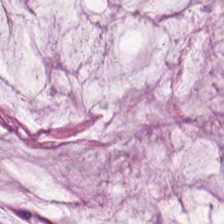H&E-stained tissue section — Predominantly extracellular mucin.
